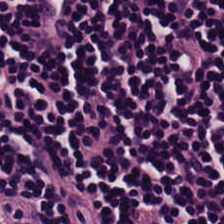H&E-stained tissue section. Impression → lymphocytic infiltrate.
